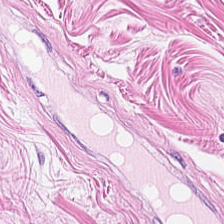Hematoxylin-and-eosin stained section; 224×224 pixel tile — Tissue = muscularis.
